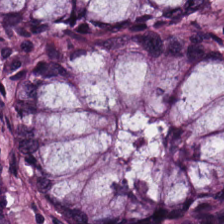Hematoxylin and eosin; brightfield microscopy.
Classification = benign colonic mucosa.
